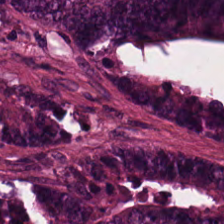H&E stain · 0.5 µm/px — Tissue type: adenocarcinoma.
